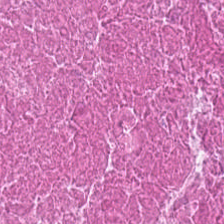Stain: hematoxylin-and-eosin stained section.
Tissue class: debris.
